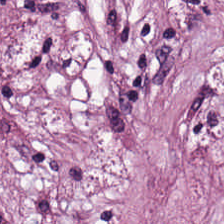The classification is tumor stroma.
